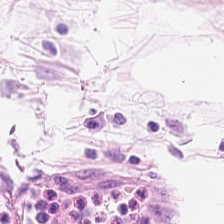Stain: hematoxylin and eosin.
Tissue type: adipose.
